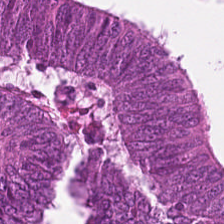H&E-stained tissue section. Histology — colorectal adenocarcinoma.
